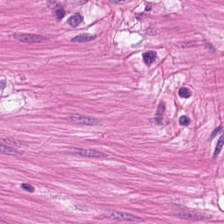Stain: hematoxylin-and-eosin stained section.
Tile size: 224×224 pixel tile.
Acquisition: WSI patch.
Tissue: muscularis.
